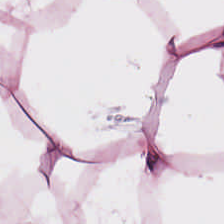Adipose tissue.
